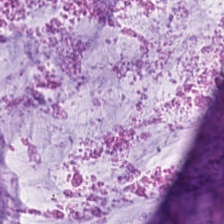224×224 pixel tile. H&E stain.
Q: Identify the tissue.
A: This is extracellular mucin.
